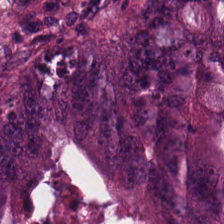Q: What is the predominant tissue type?
A: The field shows adenocarcinoma.
